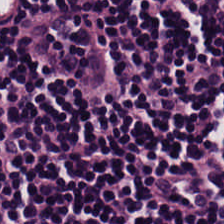H&E · brightfield.
{"tissue_type": "lymphoid infiltrate"}
